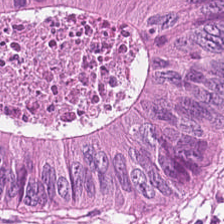H&E stain — The tissue type is adenocarcinoma.
